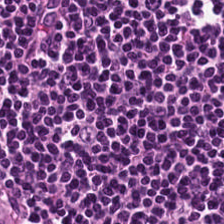H&E patch showing lymphocytic infiltrate.
